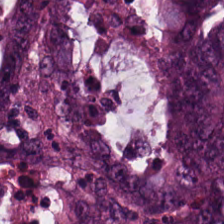This field is adenocarcinoma.
